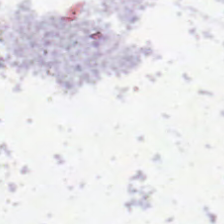Hematoxylin-and-eosin stained section. Formalin-fixed paraffin-embedded section.
Q: What is shown in this field?
A: This is background (no tissue).
